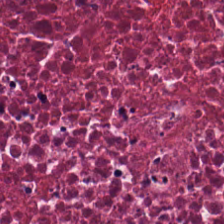The tissue here is cellular debris.
